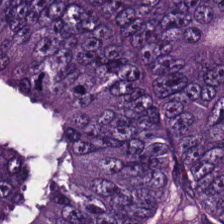20× equivalent magnification. H&E stain. The tissue here is colorectal adenocarcinoma.
